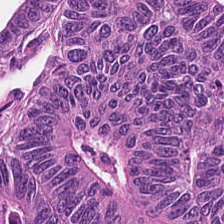H&E stain — This patch shows malignant epithelium.
